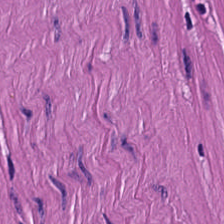H&E-stained tissue section.
Smooth-muscle tissue.
